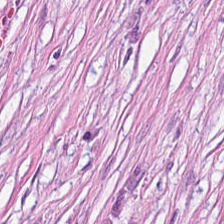Hematoxylin-and-eosin stained section. 224×224 px patch. Formalin-fixed paraffin-embedded section. This field is tumor stroma.
